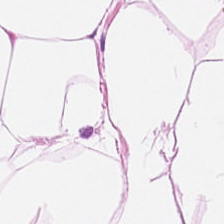Hematoxylin and eosin — The tissue here is adipose.
